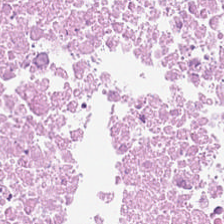Hematoxylin-and-eosin stained section.
Histology → necrotic debris.
